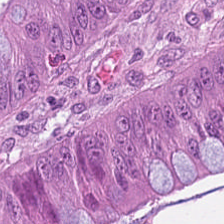H&E stain.
Q: What does this patch show?
A: Colorectal adenocarcinoma.
